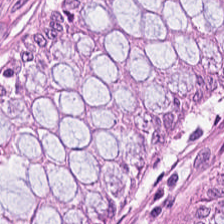Stain: hematoxylin-and-eosin stained section.
Resolution: 20× equivalent magnification.
Tissue: normal colon mucosa.
